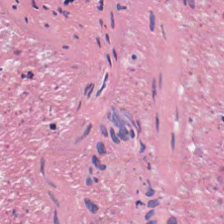Stain: H&E stain.
Tissue: cellular debris.
